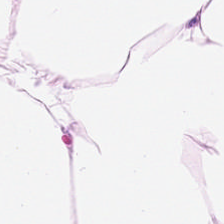Q: Identify the tissue.
A: This is fat tissue.
